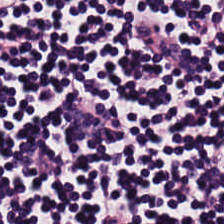Finding → lymphocytic infiltrate.
